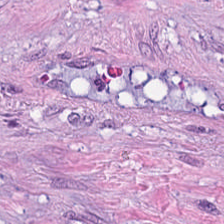Stain: H&E stain.
Tile size: 224×224 px patch.
Classification: cancer-associated stroma.
